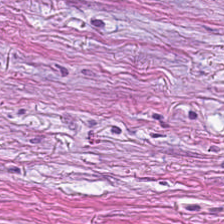Q: What is shown in this field?
A: This is tumor-associated stroma.
